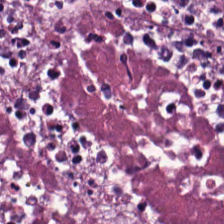Stain: H&E.
Predominant tissue: cellular debris.
